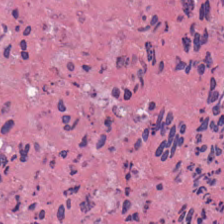H&E stain. Q: What tissue type is shown here?
A: The field shows cellular debris.
